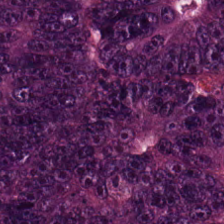Stain: H&E stain.
Acquisition: brightfield.
Classification: adenocarcinoma.
